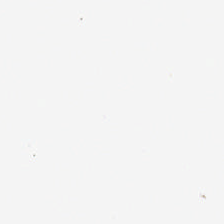20× equivalent magnification · hematoxylin-and-eosin stained section — The classification is empty background.
